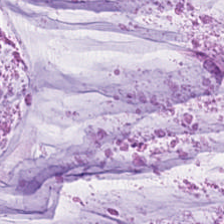Hematoxylin and eosin.
This patch shows mucus.
